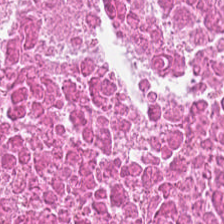{"tissue_type": "debris"}
